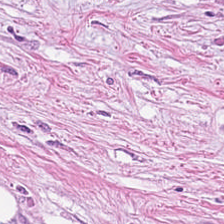H&E patch showing tumor-associated stroma.
